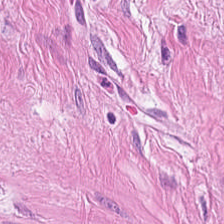This field is smooth-muscle tissue.
